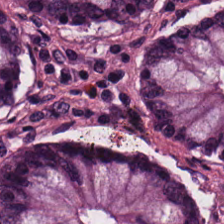H&E-stained tissue section.
Q: What is shown in this field?
A: Normal colonic mucosa.
